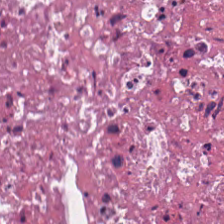Stain: H&E-stained tissue section.
Resolution: 20× equivalent magnification.
Tissue type: necrotic debris.
